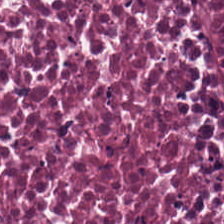Stain: hematoxylin and eosin.
Resolution: 20× equivalent magnification.
Tissue: cellular debris.
